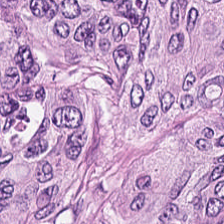H&E; brightfield; 0.5 microns per pixel. Colorectal adenocarcinoma.
